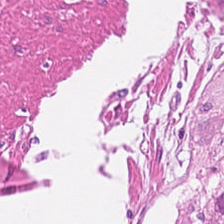H&E.
Q: What is shown here?
A: It is muscularis.
